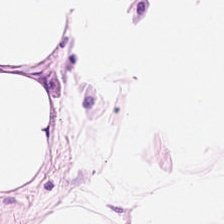H&E — This patch shows fat tissue.
